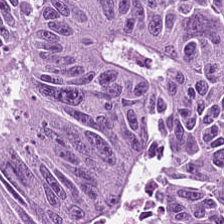H&E-stained tissue section · formalin-fixed paraffin-embedded section — Tissue = malignant epithelium.
